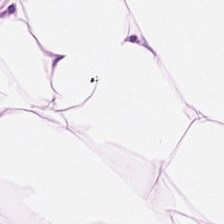Hematoxylin and eosin; 20× equivalent magnification.
This patch shows adipose.
